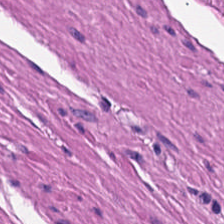Hematoxylin-and-eosin stained section.
Muscularis.
